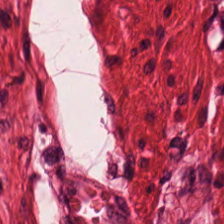The tissue is smooth-muscle tissue.
